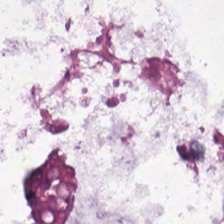Hematoxylin and eosin.
Q: What tissue is shown?
A: Mucin.
